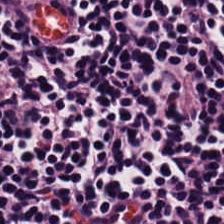Hematoxylin and eosin.
Predominant tissue — lymphocytic infiltrate.
